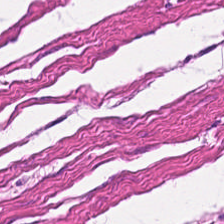0.5 microns per pixel · hematoxylin-and-eosin stained section.
This field is smooth-muscle tissue.
